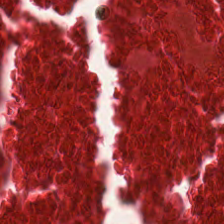224×224 px tile; H&E-stained tissue section; 0.5 µm per pixel — Finding → necrotic debris.
